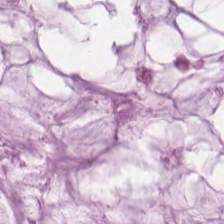Formalin-fixed paraffin-embedded section. Hematoxylin-and-eosin stained section. Q: Identify the tissue.
A: It is extracellular mucin.
